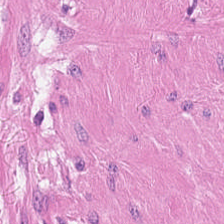Tissue type — muscularis.
